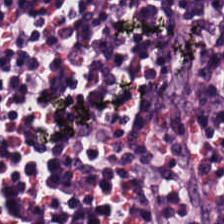Brightfield microscopy · H&E stain.
Predominant tissue: lymphoid infiltrate.
